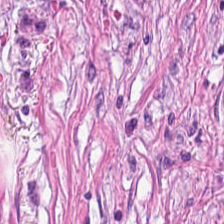H&E — desmoplastic stroma.
